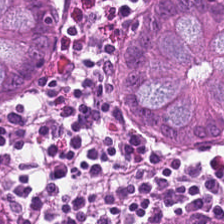H&E — This patch shows non-neoplastic colon mucosa.
